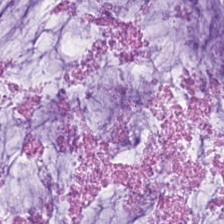Hematoxylin-and-eosin stained section — Tissue class — extracellular mucin.
